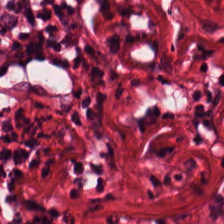Stain: hematoxylin-and-eosin stained section.
Tissue class: tumor stroma.
